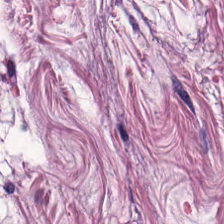Q: What is shown here?
A: This is smooth-muscle tissue.
